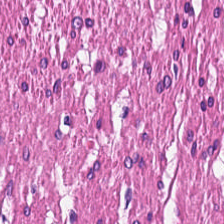H&E · FFPE tissue section.
Smooth muscle.
